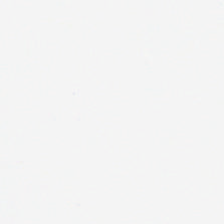Hematoxylin and eosin · 224×224 pixel tile.
Q: What is shown in this field?
A: No tissue.
